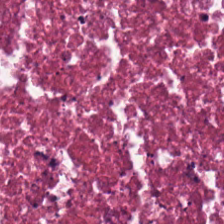Stain: H&E stain.
Tissue type: necrotic debris.
